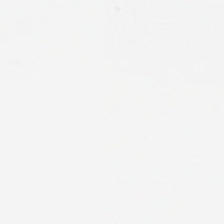224×224 pixel tile; hematoxylin-and-eosin stained section. Field content: background.
